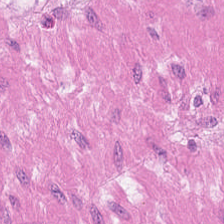H&E.
Q: Classify this patch.
A: The field shows muscularis.
